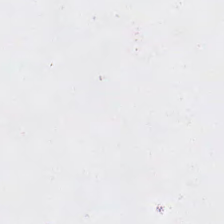224×224 pixel tile; 0.5 µm per pixel; H&E-stained tissue section.
Classification = empty background.
